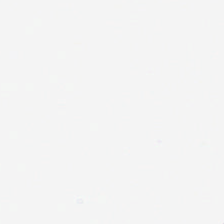This field is background (no tissue).
